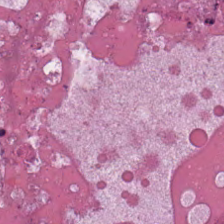Classification — debris.
